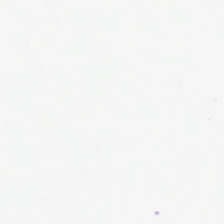This field is background (no tissue).
